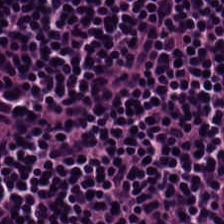Hematoxylin and eosin. Q: What type of tissue is this?
A: This is lymphocyte aggregate.
